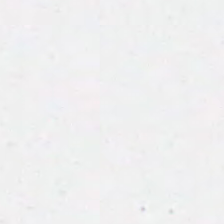WSI patch; 224×224 px tile; H&E-stained tissue section.
Classification — no tissue.
